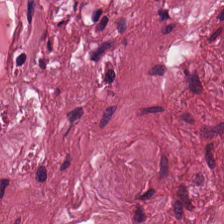H&E — desmoplastic stroma.
